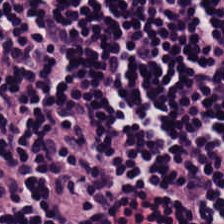Hematoxylin and eosin; 20× equivalent magnification.
Predominantly lymphoid infiltrate.
